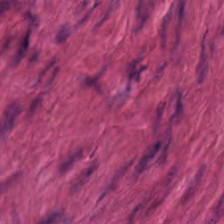H&E — {"tissue_type": "muscularis"}
